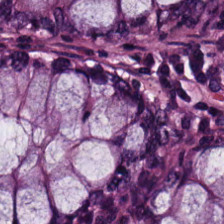Formalin-fixed paraffin-embedded section · H&E.
Showing non-neoplastic colon mucosa.
